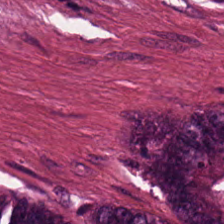The predominant tissue is colorectal adenocarcinoma epithelium.
